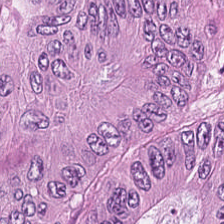Adenocarcinoma.
